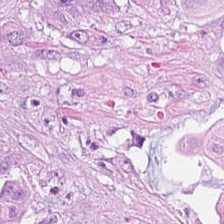0.5 µm/px; hematoxylin and eosin; WSI patch — The tissue here is malignant epithelium.
